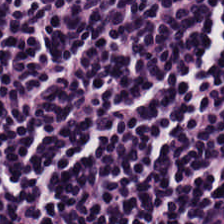FFPE. 0.5 µm per pixel. H&E-stained tissue section. Q: What tissue is shown?
A: It is lymphoid infiltrate.
